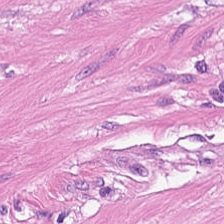WSI patch · H&E stain — This field is smooth-muscle tissue.
